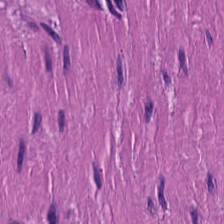Hematoxylin-and-eosin section: muscularis.
